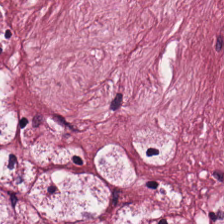This field is desmoplastic stroma.
